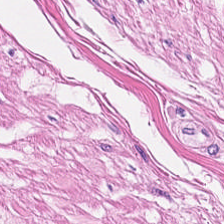The tissue class is smooth muscle.
